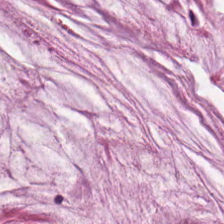H&E.
This patch shows mucin.
